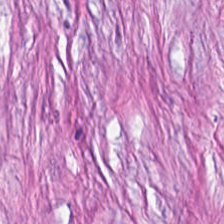H&E. This patch shows tumor-associated stroma.
